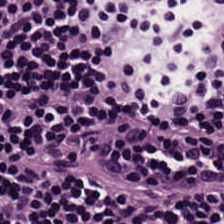H&E.
The predominant tissue is lymphoid infiltrate.
